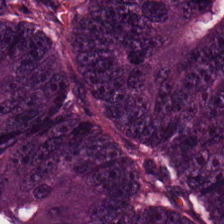Showing colorectal adenocarcinoma epithelium.
